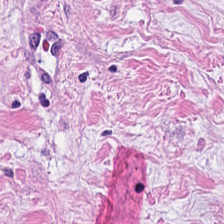H&E-stained tissue section — Predominantly tumor-associated stroma.
